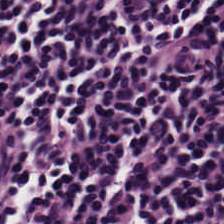0.5 µm/px · H&E stain — The classification is lymphoid infiltrate.
